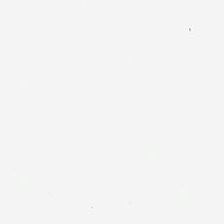H&E-stained tissue section — Q: What does this patch show?
A: The field shows empty background.
